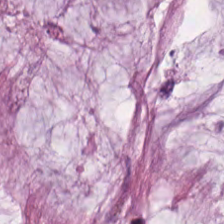Formalin-fixed paraffin-embedded section; H&E stain; 0.5 microns per pixel — Predominantly extracellular mucin.
